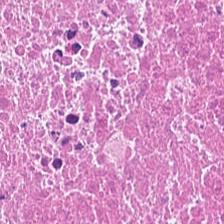Brightfield microscopy; hematoxylin and eosin.
The tissue here is debris.
